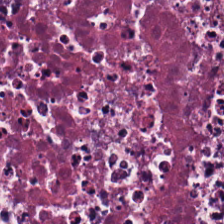H&E-stained tissue section · brightfield.
The tissue is debris.
